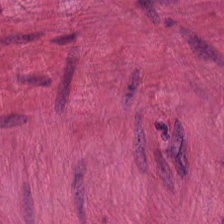0.5 microns per pixel; H&E-stained tissue section; 224×224 px patch — Tissue class: muscularis.
